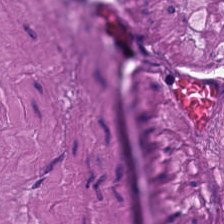H&E · 224×224 pixel tile.
Q: What tissue type is shown here?
A: It is smooth-muscle tissue.
